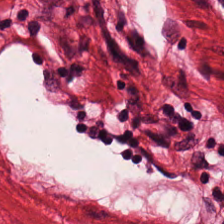H&E. Tissue = muscularis.
